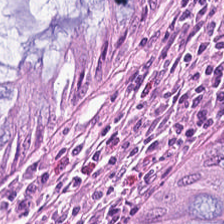Hematoxylin and eosin — Q: What does this patch show?
A: Benign colonic mucosa.
